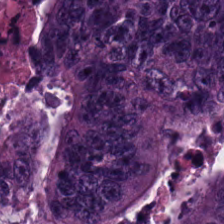0.5 µm/px; brightfield; hematoxylin and eosin.
This field is colorectal adenocarcinoma.
